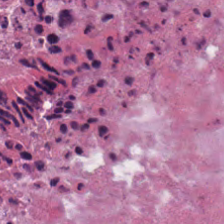Q: Classify this patch.
A: Necrotic debris.
